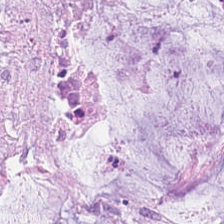224×224 pixel tile. Hematoxylin-and-eosin stained section. Finding → mucin.
